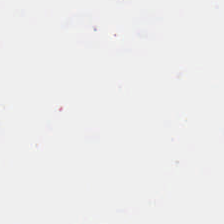This field is background (no tissue).
